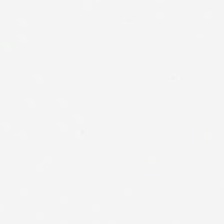H&E-stained tissue section. Classification — background (no tissue).
